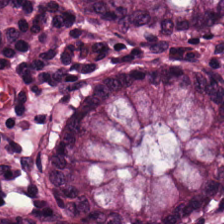Hematoxylin and eosin.
Showing non-neoplastic colon mucosa.
